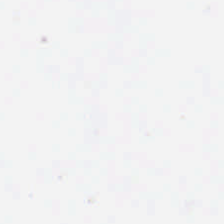224×224 px tile. H&E. Background — no tissue in this field.
